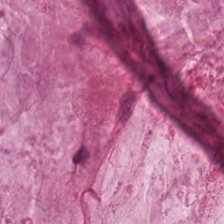Stain: hematoxylin and eosin.
Tissue type: mucin.
